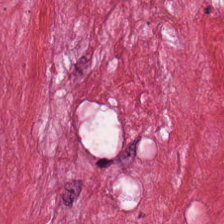{"tissue_type": "tumor-associated stroma"}
